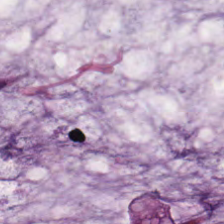The tissue type is mucin.
